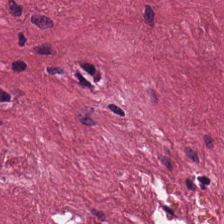Hematoxylin-and-eosin stained section.
The tissue here is tumor stroma.
